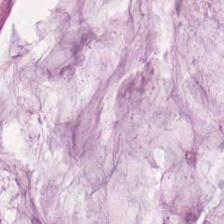The tissue here is mucus.
